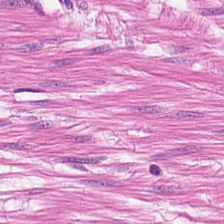Brightfield microscopy. H&E-stained tissue section. 0.5 microns per pixel. Finding — muscularis.
